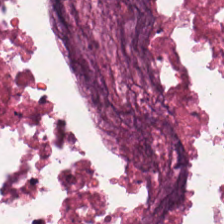The predominant tissue is debris.
